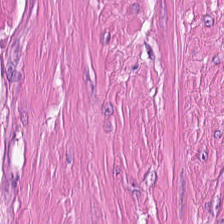H&E-stained tissue section; 224×224 px tile — This patch shows smooth muscle.
